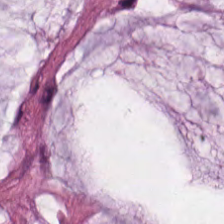H&E-stained tissue section. Impression — mucin.
